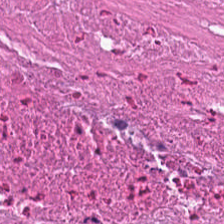H&E. Histology → debris.
